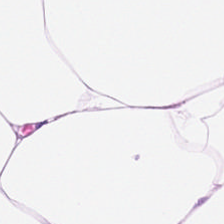Stain: H&E.
Resolution: 0.5 µm per pixel.
Predominant tissue: adipose tissue.
